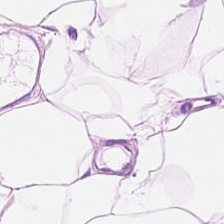Stain: H&E-stained tissue section.
Acquisition: whole-slide-image patch.
Predominant tissue: adipose tissue.
